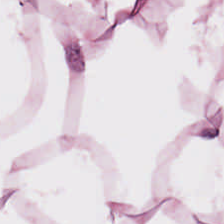0.5 microns per pixel · 224×224 px tile · hematoxylin and eosin. Histology → adipose.
